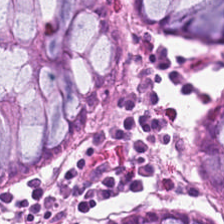Showing benign colonic mucosa.
